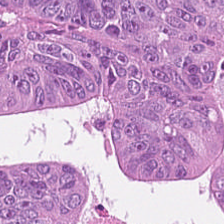H&E-stained tissue section — Classification — malignant epithelium.
